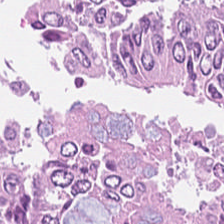The tissue is tumor epithelium.
